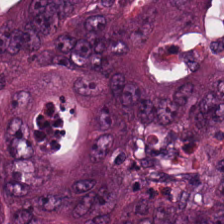20× equivalent magnification. H&E. Whole-slide-image patch. The tissue type is tumor epithelium.
